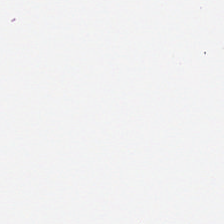Stain: H&E.
Tile size: 224×224 pixel tile.
Classification: empty background.
